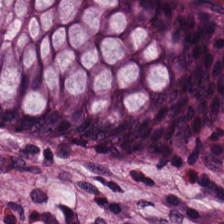The predominant tissue is benign colonic mucosa.
